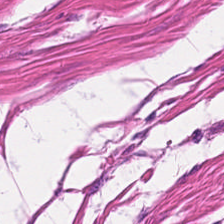Tissue type = muscularis.
